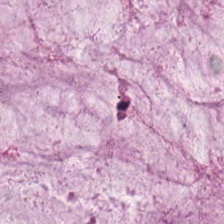Hematoxylin-and-eosin stained section.
Mucus.
